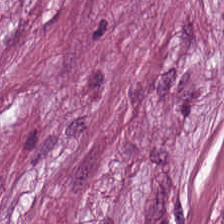H&E. Q: What type of tissue is this?
A: Desmoplastic stroma.
